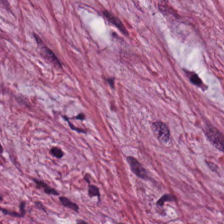H&E · 224×224 px patch · 0.5 microns per pixel. The classification is tumor stroma.
